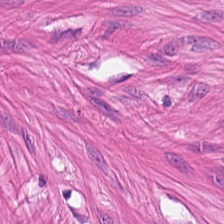H&E-stained section; the field shows muscularis.
